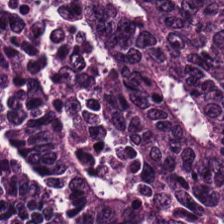Q: What tissue type is shown here?
A: The field shows adenocarcinoma.
